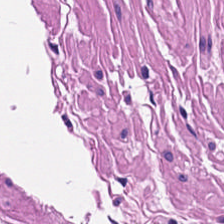Hematoxylin and eosin.
Predominantly smooth-muscle tissue.
